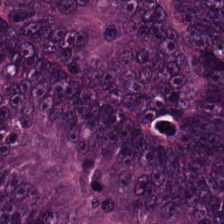H&E.
Q: What is the predominant tissue type?
A: Adenocarcinoma.
